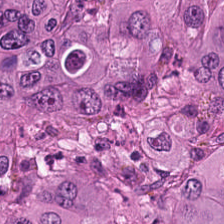{"tissue_type": "colorectal adenocarcinoma"}
